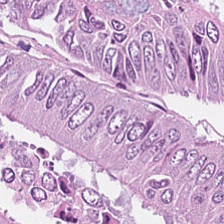224×224 px tile; 20× equivalent magnification; hematoxylin-and-eosin stained section. {"tissue_type": "adenocarcinoma"}
